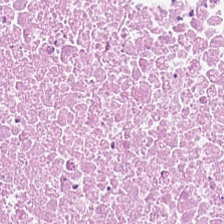224×224 pixel tile; H&E-stained tissue section — {"tissue_type": "cellular debris"}
